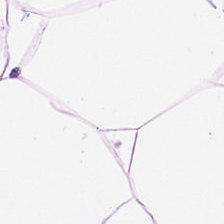Stain: H&E.
Preparation: formalin-fixed paraffin-embedded section.
Tile size: 224×224 pixel tile.
Predominant tissue: adipose.
